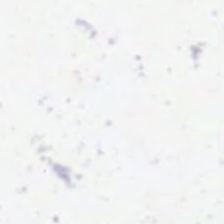Hematoxylin-and-eosin stained section · formalin-fixed paraffin-embedded section · 224×224 pixel tile. Finding → empty background.
